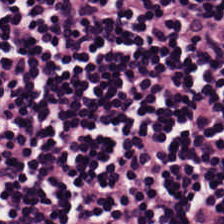FFPE · H&E-stained tissue section · 224×224 px patch.
The predominant tissue is lymphocytes.
